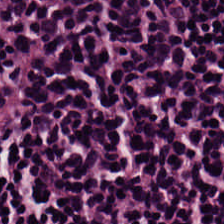H&E stain — The tissue here is lymphocyte aggregate.
